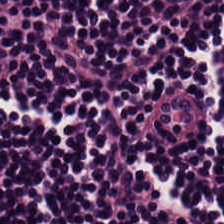Formalin-fixed paraffin-embedded section; H&E-stained tissue section — Histology → lymphocytic infiltrate.
